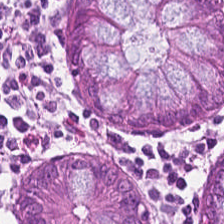Hematoxylin and eosin — The tissue here is non-neoplastic colon mucosa.
